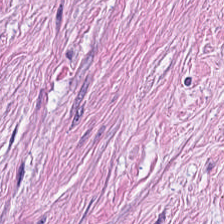Tissue type — smooth-muscle tissue.
